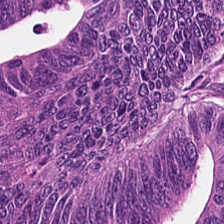Hematoxylin and eosin.
Finding — adenocarcinoma.
